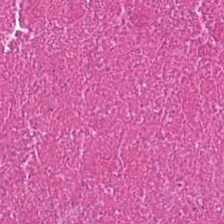Predominant tissue = debris.
